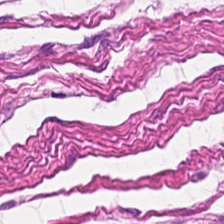Hematoxylin and eosin; 224×224 pixel tile; formalin-fixed paraffin-embedded section — Tissue class: smooth muscle.
